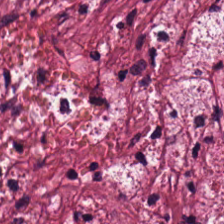Hematoxylin and eosin.
Q: What type of tissue is this?
A: The field shows desmoplastic stroma.
